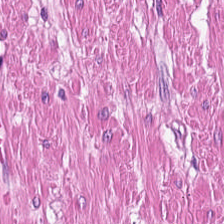Hematoxylin and eosin; 0.5 µm/px.
Tissue — smooth muscle.
